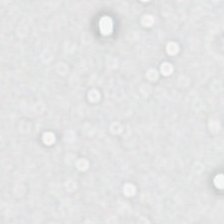H&E · whole-slide-image patch — No tissue.
